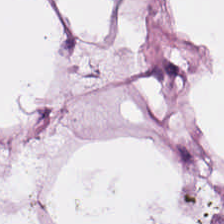0.5 microns per pixel · H&E stain — Tissue = fat tissue.
